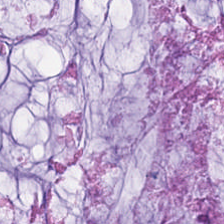H&E — Showing extracellular mucin.
